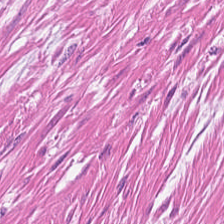224×224 px patch · 0.5 µm/px · hematoxylin-and-eosin stained section — {"tissue_type": "smooth-muscle tissue"}
